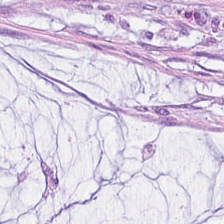Formalin-fixed paraffin-embedded section. H&E-stained tissue section. Predominantly mucus.
